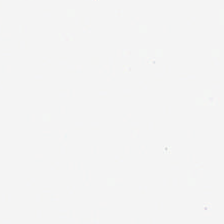Hematoxylin and eosin.
Q: What is shown here?
A: The field shows empty background.
